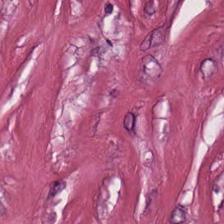FFPE tissue section · 224×224 pixel tile · H&E stain — {"tissue_type": "cancer-associated stroma"}
